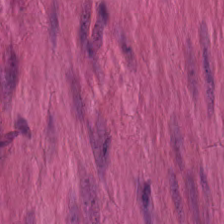Predominant tissue = smooth-muscle tissue.
